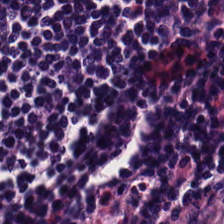Classification = lymphocytes.
